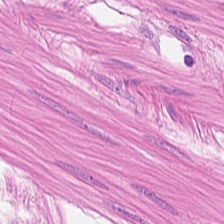Q: What does this patch show?
A: The field shows smooth-muscle tissue.
